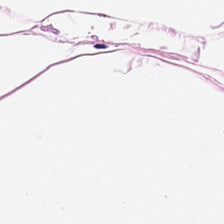H&E stain. Adipose.
